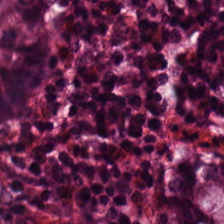Tissue type — benign colonic mucosa.
